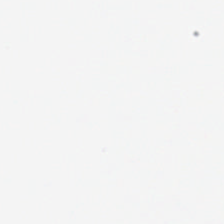224×224 px tile. Brightfield. H&E. The field content is background (no tissue).
